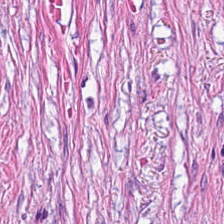Hematoxylin and eosin — This field is cancer-associated stroma.
